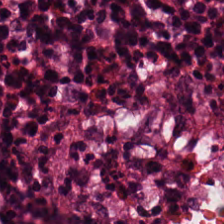Stain: hematoxylin and eosin.
Acquisition: whole-slide-image patch.
Tissue type: normal colonic mucosa.
